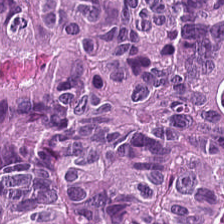H&E stain.
Finding → tumor epithelium.
